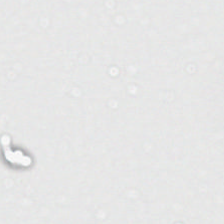This patch shows empty background.
